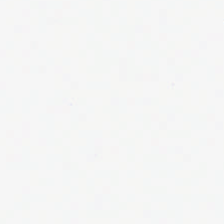FFPE; H&E stain. Empty field — empty background.
